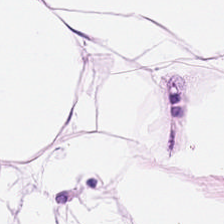The classification is adipose.
